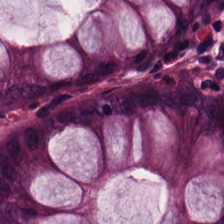This patch shows non-neoplastic colon mucosa.
